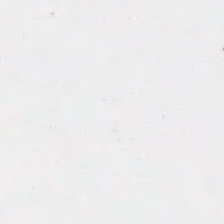224×224 px tile · 20× equivalent magnification · H&E stain. Classification — no tissue.
